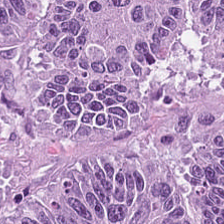Stain: H&E-stained tissue section.
Acquisition: whole-slide-image patch.
Preparation: FFPE tissue section.
Classification: adenocarcinoma.
